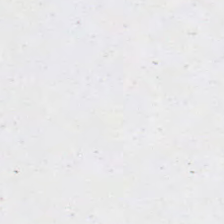H&E-stained tissue section. Q: Classify this patch.
A: This is empty background.
